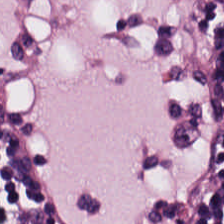224×224 px patch; hematoxylin-and-eosin stained section. Tissue class = lymphocytic infiltrate.
